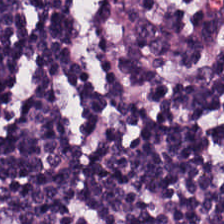Hematoxylin and eosin.
Predominantly lymphocytes.
